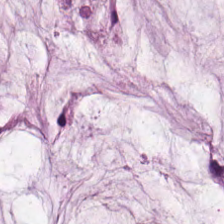The predominant tissue is mucin.
